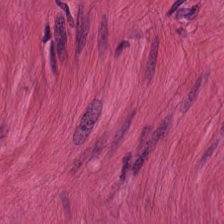H&E — Tissue type: smooth-muscle tissue.
